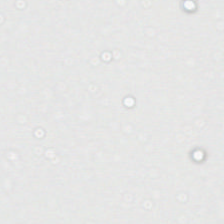FFPE tissue section · whole-slide-image patch · H&E — This field is background (no tissue).
